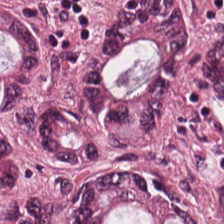Stain: H&E-stained tissue section.
Predominant tissue: malignant epithelium.
